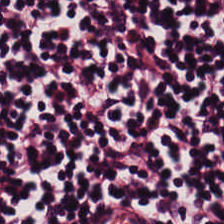Tissue type = lymphoid infiltrate.
